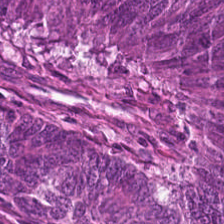H&E stain — Q: Identify the tissue.
A: Malignant epithelium.
